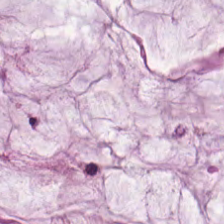224×224 px tile. H&E-stained tissue section.
The predominant tissue is mucin.
